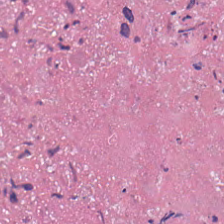Hematoxylin-and-eosin stained section.
Tissue class = necrotic debris.
